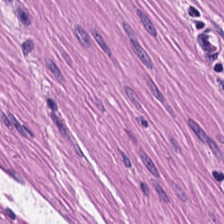Hematoxylin-and-eosin stained section. 224×224 pixel tile. Predominant tissue: smooth-muscle tissue.
